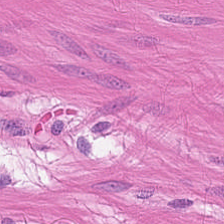Hematoxylin and eosin — Tissue class: smooth muscle.
